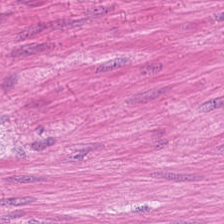Hematoxylin and eosin. The tissue is muscularis.
